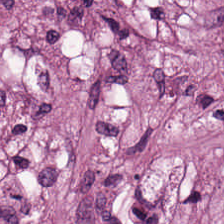224×224 px patch; H&E; FFPE — This patch shows tumor-associated stroma.
